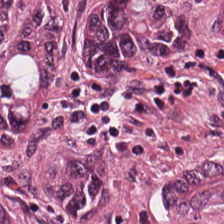Hematoxylin and eosin · whole-slide-image patch. Predominantly colorectal adenocarcinoma epithelium.
